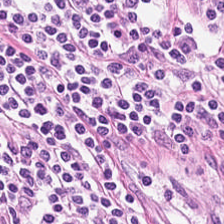Whole-slide-image patch; hematoxylin-and-eosin stained section — Histology — lymphocyte aggregate.
